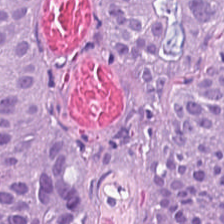Hematoxylin-and-eosin section: tumor epithelium.
